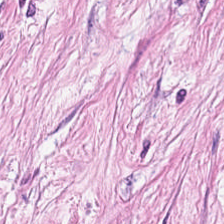Histology → cancer-associated stroma.
